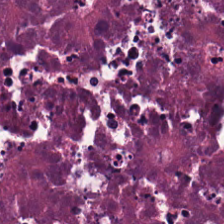Tissue — cellular debris.
